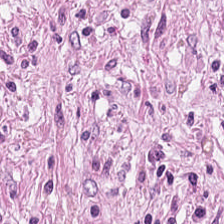H&E. Formalin-fixed paraffin-embedded section.
The predominant tissue is tumor stroma.
